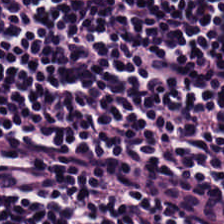Q: Classify this patch.
A: Lymphocyte aggregate.
